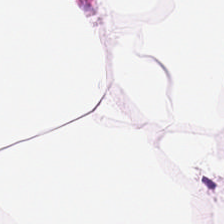0.5 µm per pixel. 224×224 px patch. H&E.
Predominantly adipose tissue.
